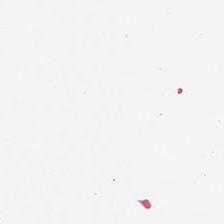{"content": "background"}
